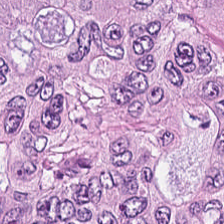H&E — Q: What does this patch show?
A: Colorectal adenocarcinoma epithelium.
